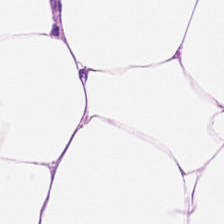Stain: H&E-stained tissue section.
Tile size: 224×224 px tile.
Resolution: 0.5 microns per pixel.
Predominant tissue: adipose tissue.
